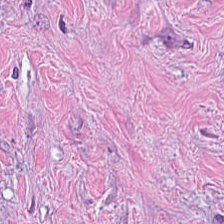Showing desmoplastic stroma.
